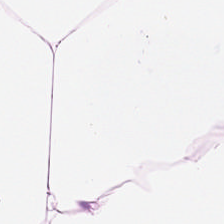224×224 px tile; H&E stain — Q: What is shown in this field?
A: The field shows fat tissue.
